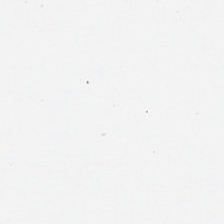Hematoxylin-and-eosin stained section · 0.5 µm per pixel — Q: Classify this patch.
A: The field shows no tissue.
